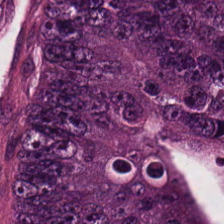This field is colorectal adenocarcinoma.
